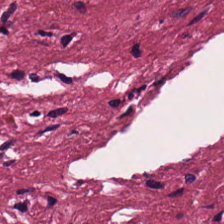H&E stain. Histology — cancer-associated stroma.
